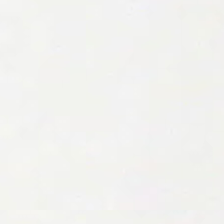H&E. This field is background (no tissue).
